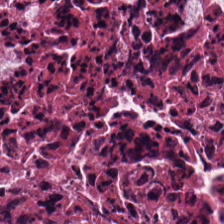H&E stain. Impression — necrotic debris.
